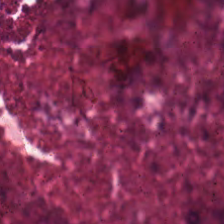Hematoxylin and eosin.
Debris.
